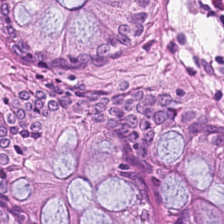{"tissue_type": "benign colonic mucosa"}
